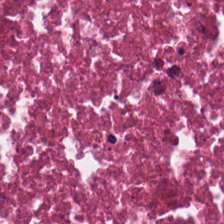Hematoxylin and eosin · 224×224 px tile · brightfield — Impression — necrotic debris.
